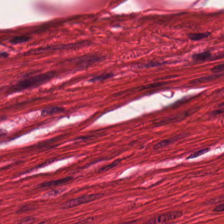Formalin-fixed paraffin-embedded section; H&E stain — Classification: smooth-muscle tissue.
